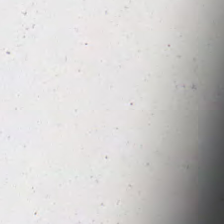No tissue present; background only.
